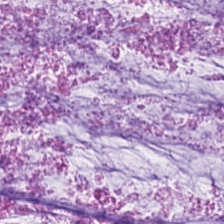Hematoxylin-and-eosin section: mucus.
